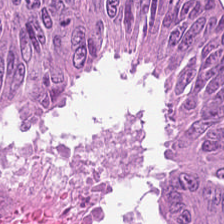Hematoxylin-and-eosin stained section — Showing tumor epithelium.
